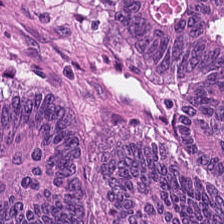Hematoxylin and eosin. This patch shows colorectal adenocarcinoma.
